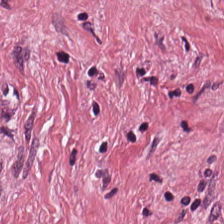FFPE. H&E-stained tissue section.
Q: What is shown in this field?
A: Tumor-associated stroma.
